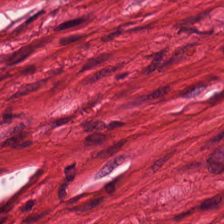Smooth muscle.
